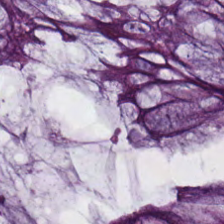Hematoxylin-and-eosin section: non-neoplastic colon mucosa.
